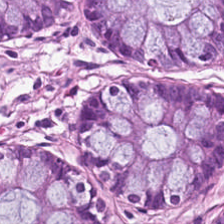Q: What tissue type is shown here?
A: The field shows non-neoplastic colon mucosa.
